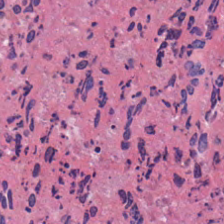Stain: hematoxylin-and-eosin stained section.
Tissue: cellular debris.
